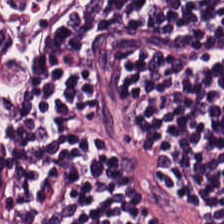0.5 µm/px. Hematoxylin and eosin. Showing lymphocytic infiltrate.
